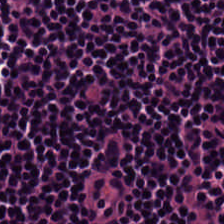The predominant tissue is lymphocytic infiltrate.
